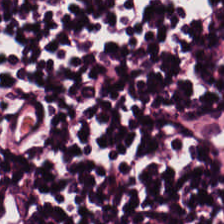Stain: hematoxylin and eosin.
Classification: lymphocytes.
